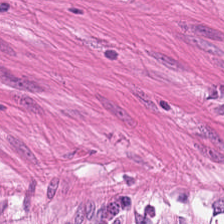H&E stain.
Impression — muscularis.
